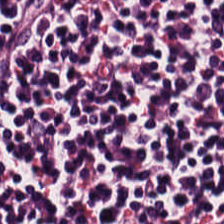0.5 µm per pixel. Brightfield. H&E-stained tissue section.
This patch shows lymphoid infiltrate.
